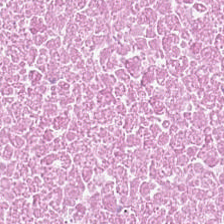Hematoxylin and eosin.
The tissue type is debris.
